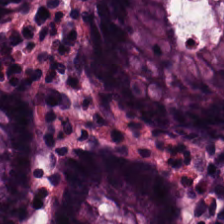Histology → benign colonic mucosa.
